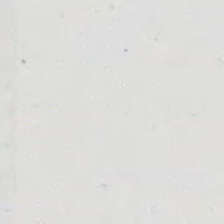Stain: hematoxylin-and-eosin stained section.
Field content: empty background.
